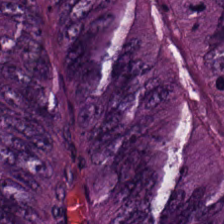H&E-stained tissue section — Colorectal adenocarcinoma.
